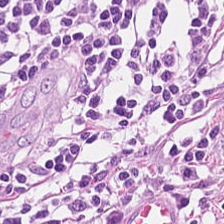Hematoxylin-and-eosin stained section · WSI patch.
Histology → lymphocyte aggregate.
